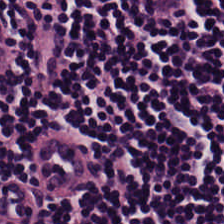This field is lymphocytic infiltrate.
